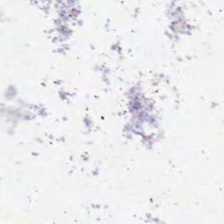0.5 µm/px; hematoxylin-and-eosin stained section; FFPE tissue section.
Q: Classify this patch.
A: Background.
